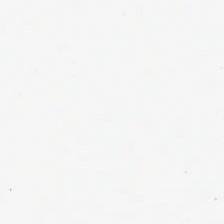Q: What is shown here?
A: It is background (no tissue).
